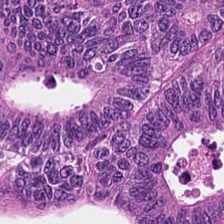Stain: H&E-stained tissue section.
Resolution: 20× equivalent magnification.
Tissue class: tumor epithelium.
